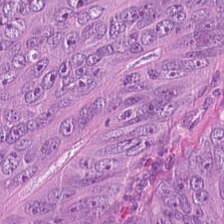Formalin-fixed paraffin-embedded section; 0.5 µm per pixel; hematoxylin and eosin. Classification = colorectal adenocarcinoma.
